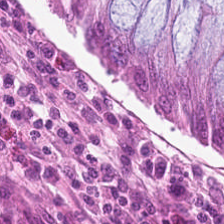Hematoxylin and eosin.
Impression → non-neoplastic colon mucosa.
